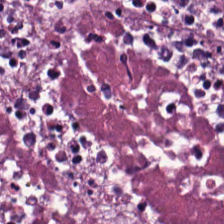Q: Classify this patch.
A: The field shows debris.
